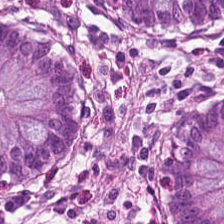Stain: hematoxylin and eosin.
Tissue: normal colon mucosa.
